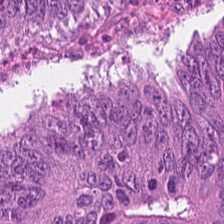H&E stain. Tumor epithelium.
